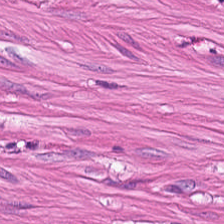H&E.
Q: Classify this patch.
A: The field shows smooth muscle.
